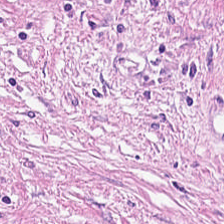WSI patch. Hematoxylin and eosin. 224×224 px patch.
The predominant tissue is tumor-associated stroma.
